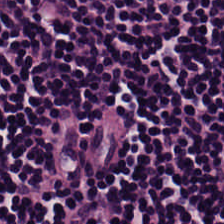H&E-stained section; the field shows lymphocytic infiltrate.
